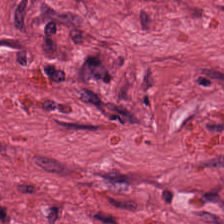Hematoxylin and eosin. Q: What type of tissue is this?
A: This is tumor stroma.
